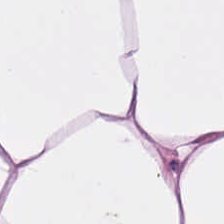H&E stain — {"tissue_type": "fat tissue"}
